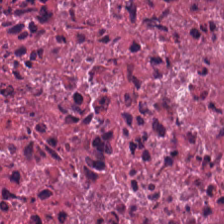H&E stain — Q: What does this patch show?
A: It is debris.
